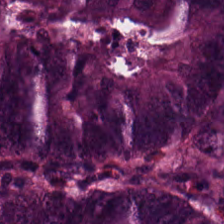Malignant epithelium.
